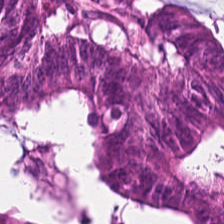H&E — Finding — colorectal adenocarcinoma epithelium.
